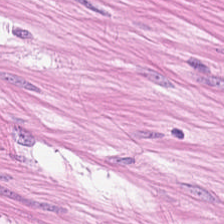Stain: H&E stain.
Tissue class: muscularis.
